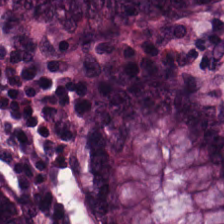Finding — normal colonic mucosa.
